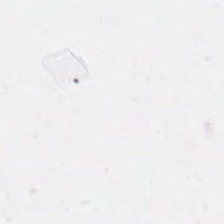H&E stain — Background — no tissue in this field.
